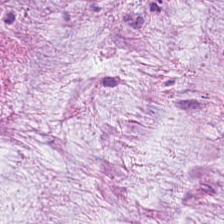224×224 px tile · H&E stain.
Q: What does this patch show?
A: The field shows mucus.
